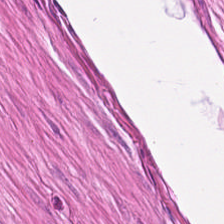H&E-stained tissue section; whole-slide-image patch. The tissue here is muscularis.
